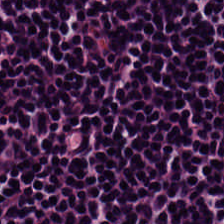Stain: hematoxylin and eosin.
Predominant tissue: lymphocyte aggregate.
